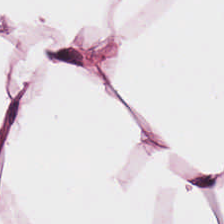The predominant tissue is adipocytes.
